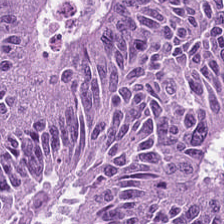H&E-stained tissue section — The predominant tissue is colorectal adenocarcinoma.
